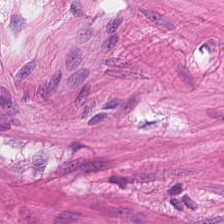224×224 pixel tile; H&E stain.
This field is smooth muscle.
